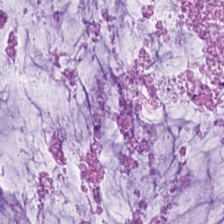Q: What does this patch show?
A: This is mucus.
